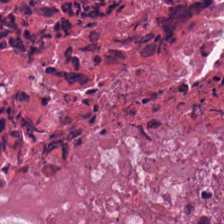Hematoxylin and eosin. Tissue class — necrotic debris.
